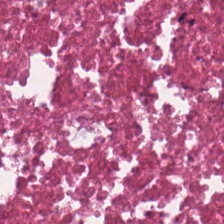Stain: H&E-stained tissue section.
Preparation: FFPE.
Acquisition: whole-slide-image patch.
Tissue class: debris.
